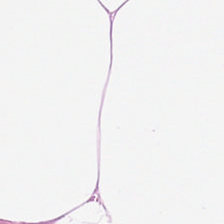Classification — adipocytes.
